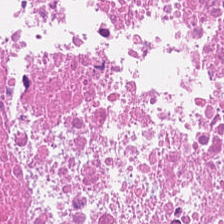This patch shows necrotic debris.
